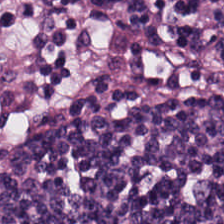224×224 px patch. H&E stain — {"tissue_type": "lymphoid infiltrate"}
